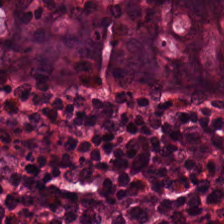H&E stain. This patch shows normal colonic mucosa.
